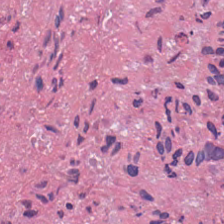Hematoxylin-and-eosin stained section. 0.5 microns per pixel — Showing necrotic debris.
